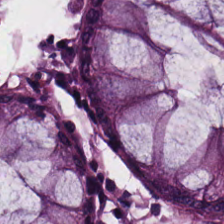H&E stain — Q: Identify the tissue.
A: This is normal colon mucosa.
